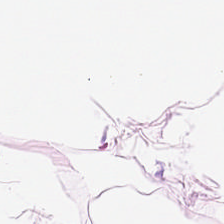H&E-stained tissue section.
Q: What tissue type is shown here?
A: This is adipocytes.
